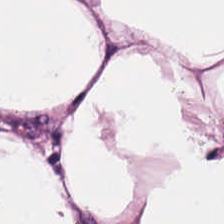H&E-stained tissue section showing adipose.
